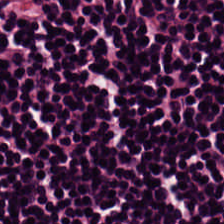H&E. The tissue here is lymphocytic infiltrate.
